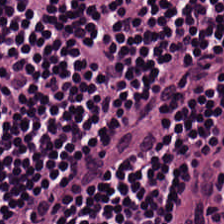20× equivalent magnification · H&E stain.
Q: Identify the tissue.
A: The field shows lymphocytes.
